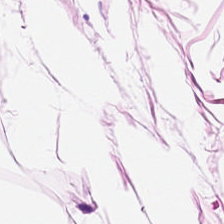H&E — Tissue type: adipocytes.
